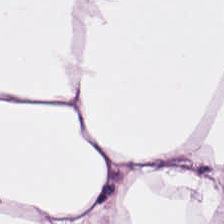224×224 px patch · H&E stain. Classification — adipocytes.
